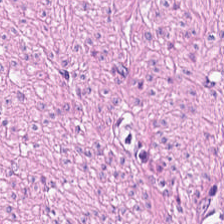Hematoxylin and eosin — The classification is smooth-muscle tissue.
